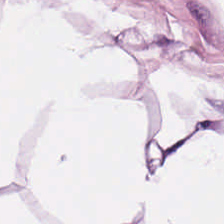Showing adipose tissue.
